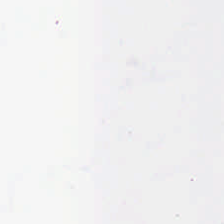H&E-stained tissue section. 0.5 microns per pixel.
The content is no tissue.
